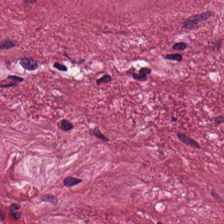Hematoxylin and eosin. Brightfield. 224×224 px tile.
Tumor-associated stroma.
